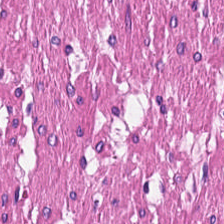224×224 px tile. H&E. 0.5 µm/px.
This field is smooth muscle.
